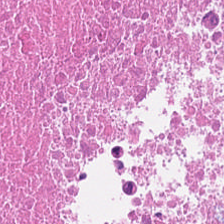Stain: hematoxylin-and-eosin stained section.
Predominant tissue: necrotic debris.
